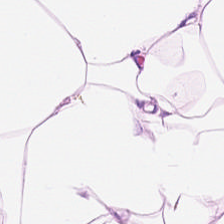H&E-stained tissue section · formalin-fixed paraffin-embedded section · 224×224 pixel tile. Adipocytes.
